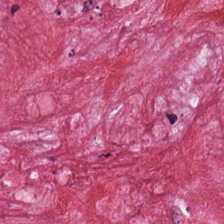Hematoxylin and eosin. Impression — cancer-associated stroma.
